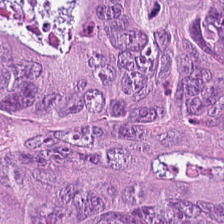Hematoxylin-and-eosin stained section; 224×224 pixel tile — Q: What is shown in this field?
A: It is tumor epithelium.
